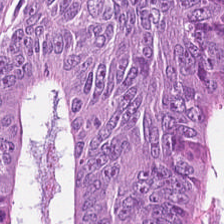H&E-stained tissue section.
Tissue: malignant epithelium.
